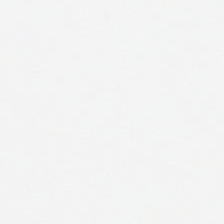FFPE tissue section; 0.5 µm per pixel; hematoxylin and eosin.
Background — no tissue in this field.
